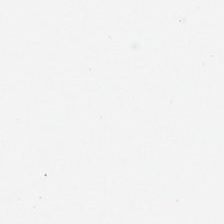H&E stain.
Q: Classify this patch.
A: The field shows background (no tissue).
